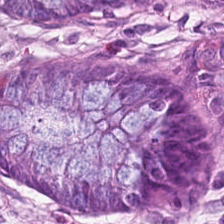H&E stain — Tissue class = normal colon mucosa.
